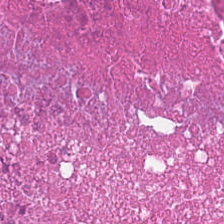FFPE tissue section · H&E stain — {"tissue_type": "necrotic debris"}
